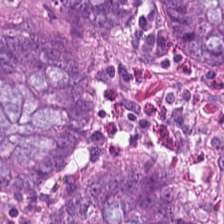Tissue: benign colonic mucosa.
